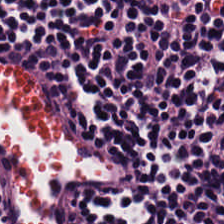This patch shows lymphoid infiltrate.
